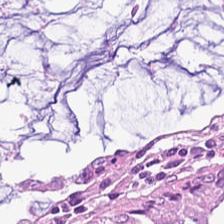H&E stain. This patch shows non-neoplastic colon mucosa.
